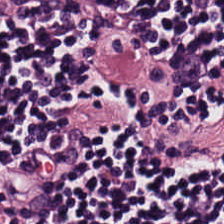H&E-stained tissue section · FFPE — Histology → lymphocyte aggregate.
